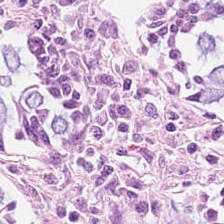0.5 µm per pixel. WSI patch. H&E stain — The predominant tissue is benign colonic mucosa.
